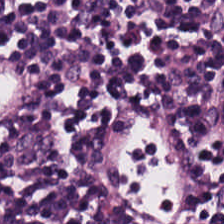H&E-stained section; the field shows lymphoid infiltrate.
